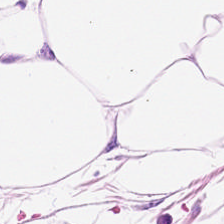Hematoxylin-and-eosin stained section; 224×224 px patch. Tissue = adipocytes.
